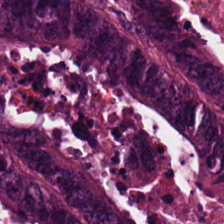Hematoxylin-and-eosin stained section — Tissue class: malignant epithelium.
